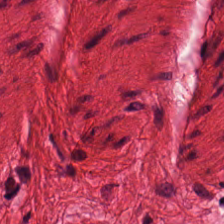Predominantly smooth muscle.
